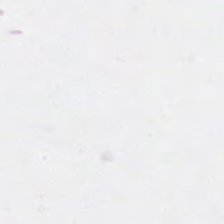H&E — Background.
